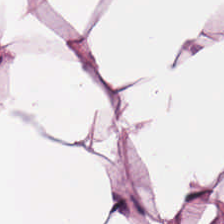Stain: hematoxylin and eosin.
Classification: adipose.
